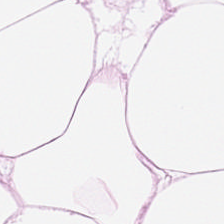H&E. This patch shows fat tissue.
